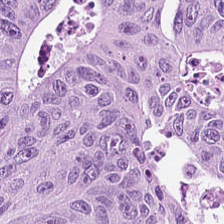Hematoxylin-and-eosin stained section.
Finding — malignant epithelium.
